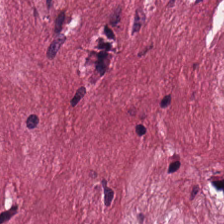0.5 microns per pixel. H&E — Impression — desmoplastic stroma.
